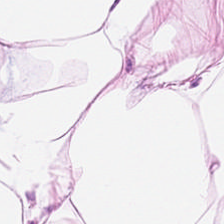Stain: H&E-stained tissue section.
Resolution: 20× equivalent magnification.
Preparation: FFPE tissue section.
Tissue type: adipose tissue.
